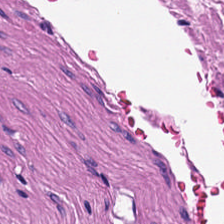Hematoxylin and eosin; 0.5 µm/px.
Tissue type — muscularis.
